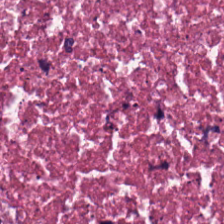H&E-stained tissue section. Showing necrotic debris.
